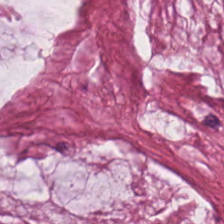Stain: hematoxylin and eosin.
Predominant tissue: extracellular mucin.
